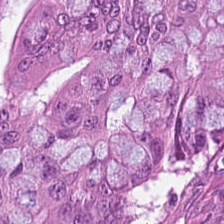Showing colorectal adenocarcinoma.
